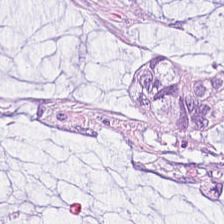H&E-stained tissue section — {"tissue_type": "extracellular mucin"}
